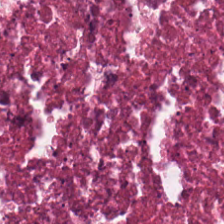Hematoxylin and eosin.
Tissue class = debris.
